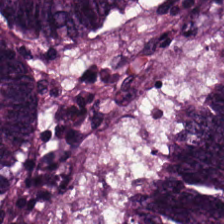FFPE tissue section. H&E. 224×224 px tile — Q: What is shown here?
A: It is malignant epithelium.
